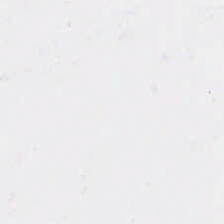224×224 pixel tile; hematoxylin-and-eosin stained section. No tissue present; background only.
